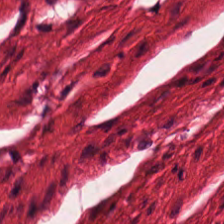H&E — The predominant tissue is muscularis.
